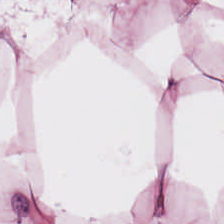Hematoxylin and eosin.
Showing fat tissue.
